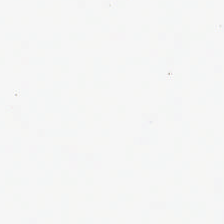H&E stain — Q: What is shown here?
A: Background.
